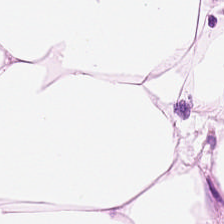H&E. FFPE tissue section — Predominant tissue — fat tissue.
